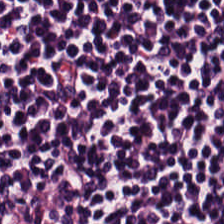Stain: hematoxylin-and-eosin stained section.
Acquisition: whole-slide-image patch.
Preparation: FFPE.
Tissue type: lymphocytes.
